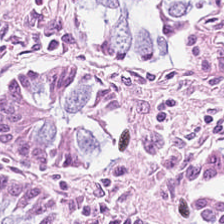Formalin-fixed paraffin-embedded section · H&E — This field is non-neoplastic colon mucosa.
